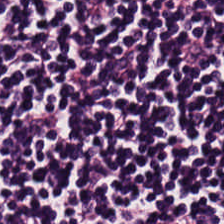H&E stain · 224×224 pixel tile — Q: What tissue is shown?
A: It is lymphocytic infiltrate.
